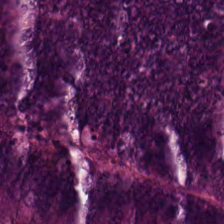H&E stain. 224×224 px tile — This field is tumor epithelium.
